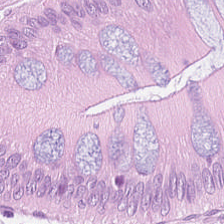H&E stain. Showing normal colon mucosa.
